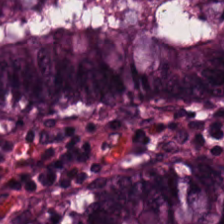H&E-stained tissue section. Predominantly benign colonic mucosa.
